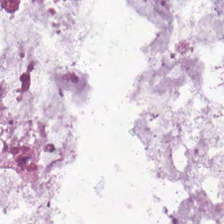Hematoxylin-and-eosin stained section. 224×224 pixel tile. Q: What is shown here?
A: The field shows mucin.
